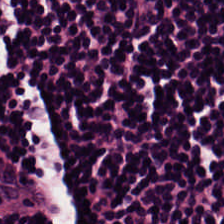H&E-stained tissue section showing lymphoid infiltrate.
